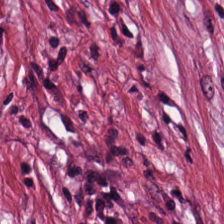FFPE · WSI patch · hematoxylin and eosin.
{"tissue_type": "tumor stroma"}
